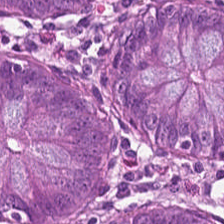Hematoxylin-and-eosin stained section — The classification is normal colonic mucosa.
